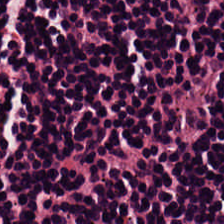H&E stain — Lymphocyte aggregate.
